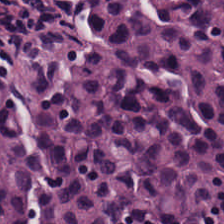H&E. 224×224 px patch. Whole-slide-image patch.
This patch shows lymphocytic infiltrate.
